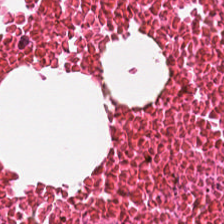Hematoxylin and eosin · FFPE. Tissue class: cellular debris.
